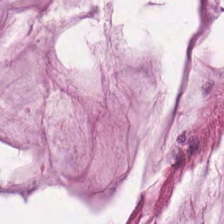Mucus.
